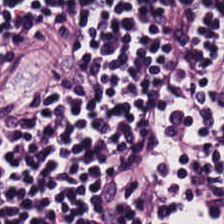H&E — The classification is lymphocyte aggregate.
